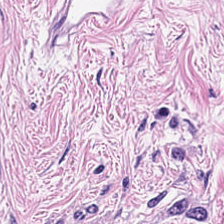Hematoxylin and eosin — Predominantly desmoplastic stroma.
